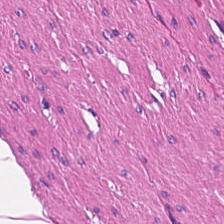Hematoxylin-and-eosin stained section.
This field is smooth muscle.
